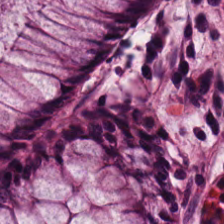Hematoxylin-and-eosin stained section — Q: What is the predominant tissue type?
A: Benign colonic mucosa.
